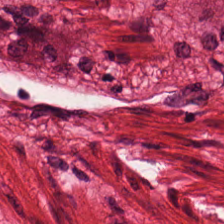H&E — Q: What type of tissue is this?
A: The field shows smooth muscle.
